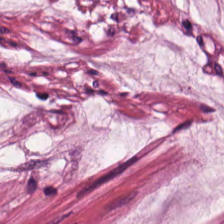224×224 px tile. H&E stain — Q: What tissue type is shown here?
A: It is extracellular mucin.
